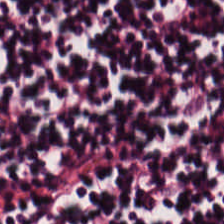Hematoxylin and eosin. FFPE tissue section — Finding → lymphoid infiltrate.
